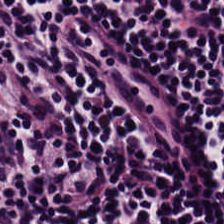Brightfield · 224×224 px tile · hematoxylin and eosin.
The tissue class is lymphocyte aggregate.
